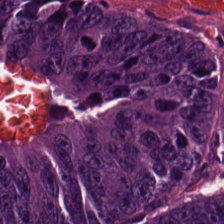H&E — The tissue is colorectal adenocarcinoma epithelium.
